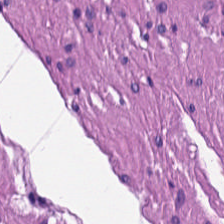Whole-slide-image patch · 0.5 µm/px · H&E. Q: Classify this patch.
A: This is smooth-muscle tissue.
